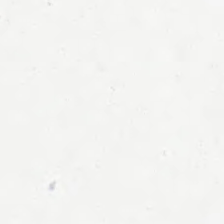The classification is background (no tissue).
